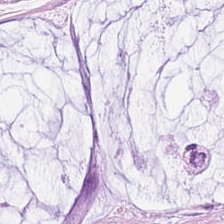H&E stain.
This patch shows mucin.
